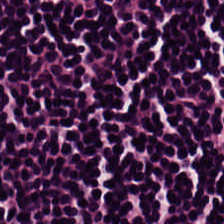Brightfield. H&E stain — The predominant tissue is lymphocytic infiltrate.
